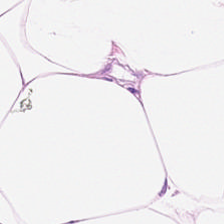H&E stain.
Histology — adipose.
